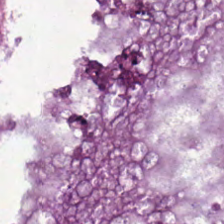H&E stain. 20× equivalent magnification — The tissue here is colorectal adenocarcinoma.
